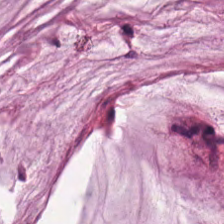H&E-stained tissue section; 224×224 px tile. Showing mucin.
